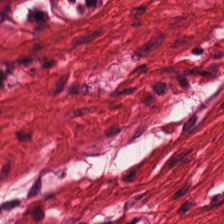Stain: hematoxylin-and-eosin stained section.
Tile size: 224×224 pixel tile.
Tissue: smooth muscle.
